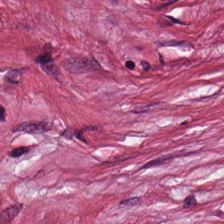H&E. {"tissue_type": "tumor stroma"}
